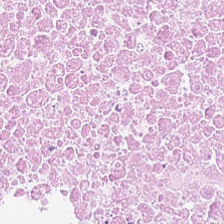H&E stain — Q: What is shown in this field?
A: This is debris.
